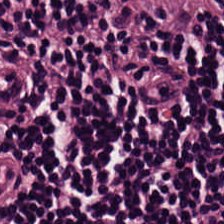H&E-stained tissue section. Brightfield.
Showing lymphoid infiltrate.
